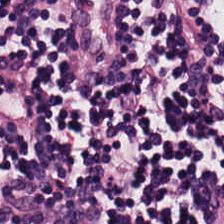This field is lymphocytic infiltrate.
